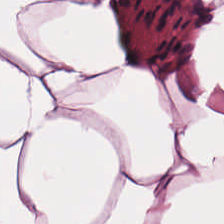H&E stain.
Showing fat tissue.
